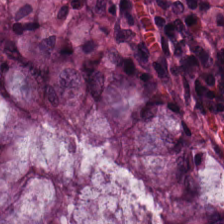Hematoxylin-and-eosin stained section.
Q: Classify this patch.
A: It is normal colon mucosa.
